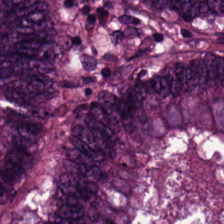Stain: hematoxylin and eosin.
Tissue: malignant epithelium.
